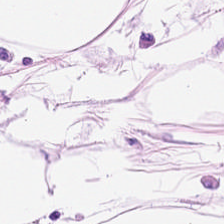H&E; FFPE. Predominant tissue: fat tissue.
